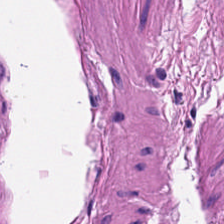Tissue class: muscularis.
